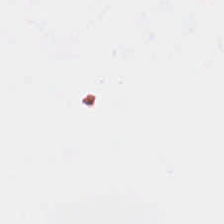Stain: H&E stain.
Classification: no tissue.
